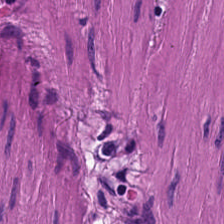224×224 px tile; H&E.
The predominant tissue is muscularis.
